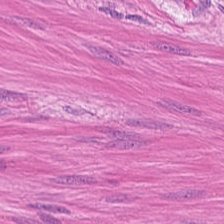FFPE tissue section · H&E — Impression — smooth muscle.
